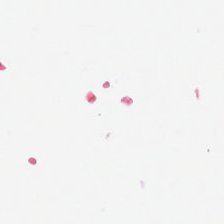Classification — background (no tissue).
